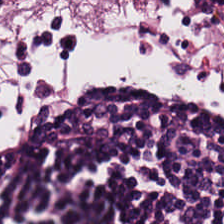FFPE. Hematoxylin and eosin.
Tissue type = lymphocyte aggregate.
